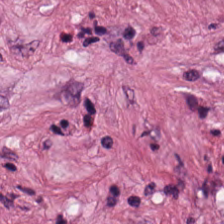0.5 microns per pixel; hematoxylin-and-eosin stained section.
Tissue type — tumor-associated stroma.
